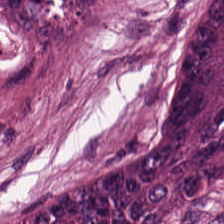H&E stain.
This patch shows tumor epithelium.
